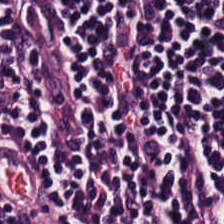Hematoxylin-and-eosin stained section. Histology → lymphoid infiltrate.
